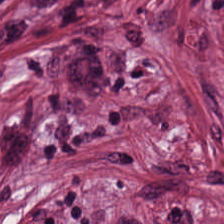H&E stain. WSI patch.
Q: What tissue type is shown here?
A: The field shows tumor-associated stroma.
